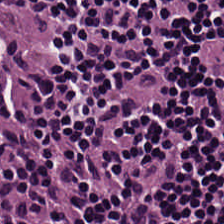Q: What does this patch show?
A: Lymphoid infiltrate.
